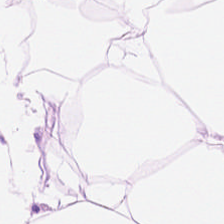Q: What is the predominant tissue type?
A: It is adipocytes.
